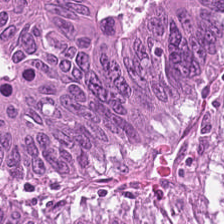Stain: hematoxylin-and-eosin stained section.
Preparation: FFPE.
Tile size: 224×224 px tile.
Classification: colorectal adenocarcinoma.
